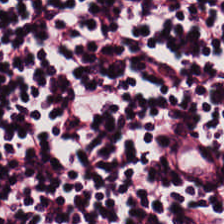H&E-stained tissue section.
Classification = lymphocyte aggregate.
